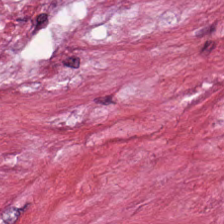H&E. Tissue class = tumor stroma.
